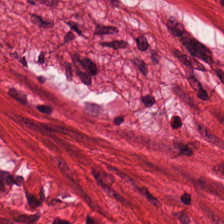0.5 µm per pixel. 224×224 px tile. H&E-stained tissue section. The tissue type is smooth-muscle tissue.
